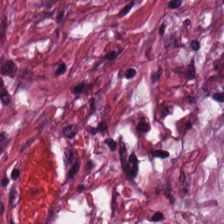H&E-stained tissue section.
Q: What tissue type is shown here?
A: This is desmoplastic stroma.
